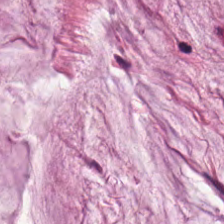Impression → mucus.
